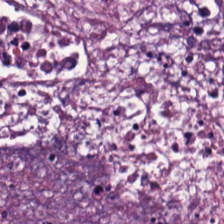H&E-stained tissue section · 0.5 µm/px. Tissue: cellular debris.
